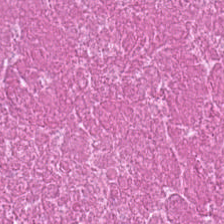224×224 px patch; H&E stain.
{"tissue_type": "cellular debris"}
